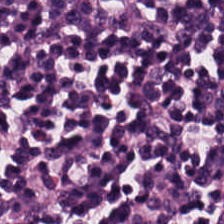H&E. 20× equivalent magnification. 224×224 pixel tile. The tissue here is lymphocytes.
